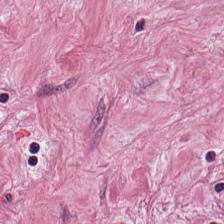H&E-stained tissue section.
Histology → tumor-associated stroma.
